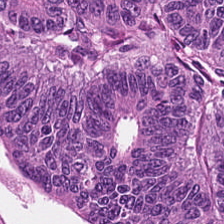H&E stain. FFPE tissue section.
This field is tumor epithelium.
